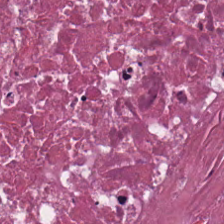Stain: H&E-stained tissue section.
Tissue: cellular debris.
